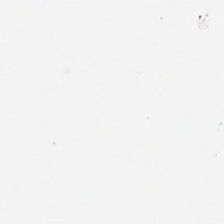Stain: H&E stain.
Acquisition: whole-slide-image patch.
Content: no tissue.
